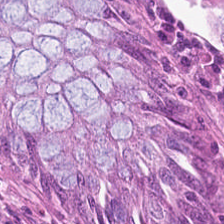Stain: H&E-stained tissue section.
Tile size: 224×224 px patch.
Preparation: FFPE.
Classification: normal colonic mucosa.
